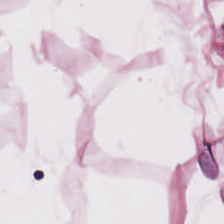The tissue is fat tissue.
